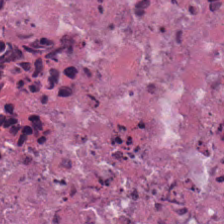Hematoxylin-and-eosin stained section. Formalin-fixed paraffin-embedded section. Brightfield microscopy — This patch shows cellular debris.
